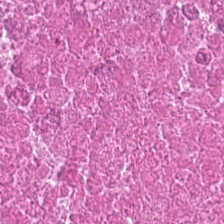H&E-stained tissue section. Brightfield. FFPE.
This patch shows necrotic debris.
